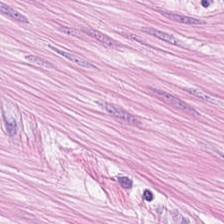H&E — muscularis.
